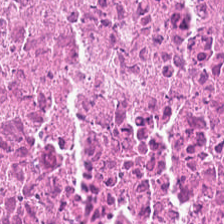H&E-stained tissue section.
Cellular debris.
